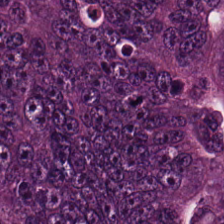Showing malignant epithelium.
